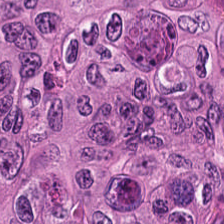Hematoxylin-and-eosin stained section.
{"tissue_type": "adenocarcinoma"}
